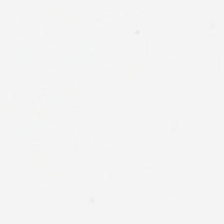This field is background (no tissue).
